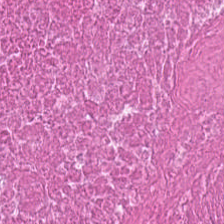H&E-stained tissue section · FFPE. Tissue type = cellular debris.
